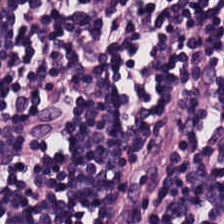Formalin-fixed paraffin-embedded section · hematoxylin-and-eosin stained section · brightfield microscopy — This patch shows lymphocytes.
